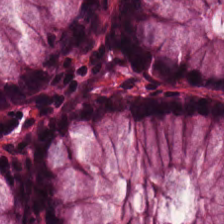H&E-stained tissue section. {"tissue_type": "benign colonic mucosa"}
